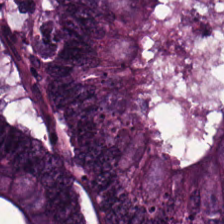H&E-stained tissue section showing malignant epithelium.
